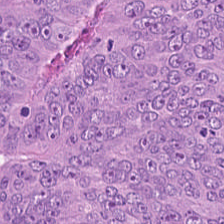20× equivalent magnification; H&E-stained tissue section — Q: Classify this patch.
A: This is colorectal adenocarcinoma epithelium.
